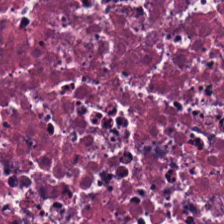Stain: H&E.
Tile size: 224×224 px tile.
Classification: necrotic debris.
